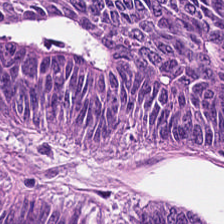Stain: H&E stain.
Classification: colorectal adenocarcinoma epithelium.
